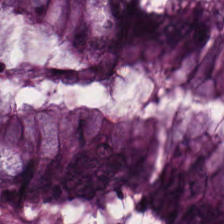Formalin-fixed paraffin-embedded section. Hematoxylin-and-eosin stained section.
The predominant tissue is non-neoplastic colon mucosa.
